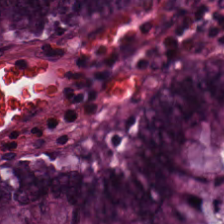Hematoxylin-and-eosin stained section. FFPE tissue section — The predominant tissue is normal colonic mucosa.
